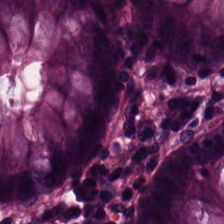H&E-stained tissue section — The predominant tissue is normal colon mucosa.
